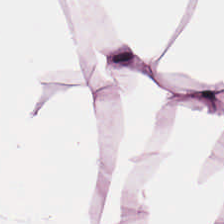Tissue: fat tissue.
